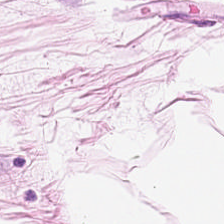H&E stain. 224×224 pixel tile. Q: Identify the tissue.
A: The field shows fat tissue.
